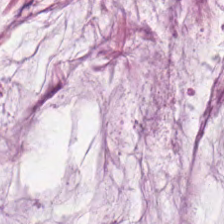H&E stain — Q: What does this patch show?
A: This is extracellular mucin.
